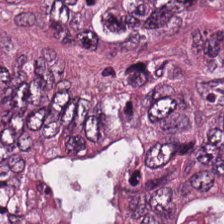H&E stain · 224×224 px tile.
Predominantly adenocarcinoma.
